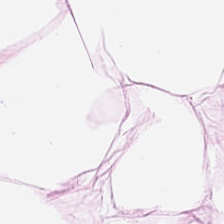Stain: H&E-stained tissue section.
Classification: adipose.
